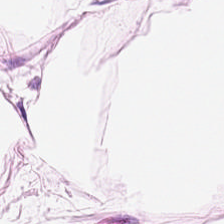Brightfield · H&E — This field is adipose tissue.
